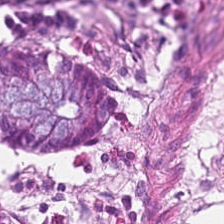Hematoxylin-and-eosin stained section; whole-slide-image patch — The tissue type is normal colonic mucosa.
